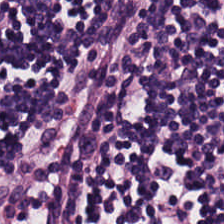224×224 px patch · H&E.
{"tissue_type": "lymphocytes"}
